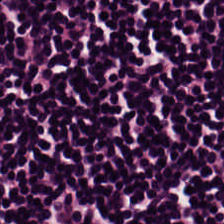Hematoxylin-and-eosin stained section — Finding — lymphocytes.
